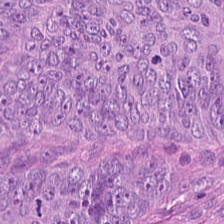H&E stain · brightfield microscopy — Q: What type of tissue is this?
A: This is colorectal adenocarcinoma.
